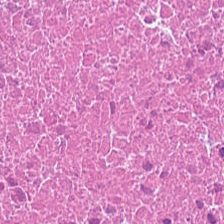Predominant tissue — debris.
